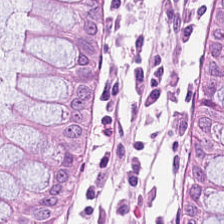Showing benign colonic mucosa.
